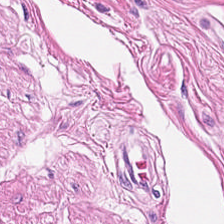Tissue type: muscularis.
